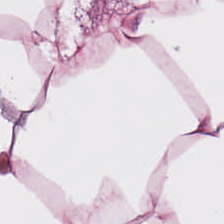Histology → fat tissue.
